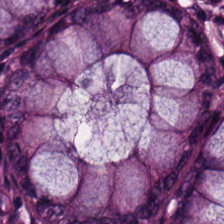224×224 pixel tile; hematoxylin and eosin — This patch shows normal colon mucosa.
